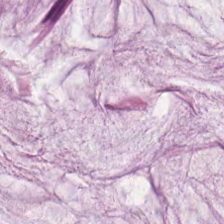H&E — The classification is extracellular mucin.
